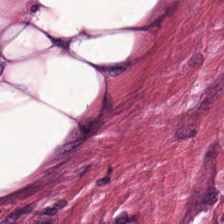Brightfield microscopy · H&E.
The predominant tissue is tumor-associated stroma.
